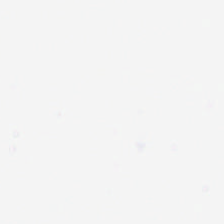224×224 px patch; H&E-stained tissue section; formalin-fixed paraffin-embedded section — Finding → background (no tissue).
